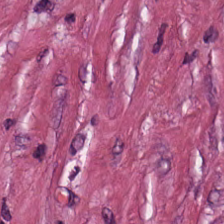Impression → tumor stroma.
